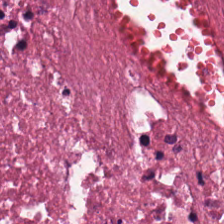H&E stain — {"tissue_type": "debris"}
